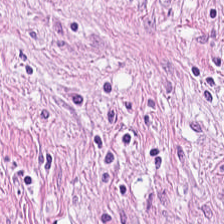Tissue class = tumor-associated stroma.
